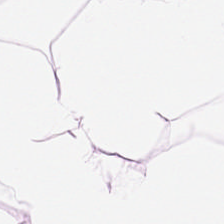Brightfield · H&E stain — {"tissue_type": "adipose"}
